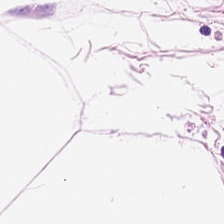FFPE · H&E. Adipocytes.
